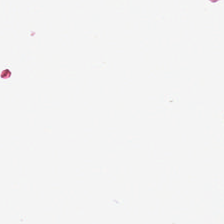Stain: H&E-stained tissue section.
Resolution: 0.5 µm/px.
Preparation: FFPE tissue section.
Content: no tissue.
